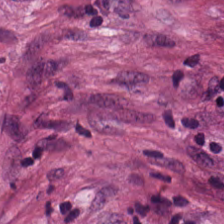H&E stain.
Desmoplastic stroma.
